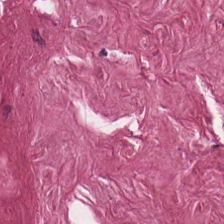H&E-stained tissue section · 224×224 px patch — Q: What tissue is shown?
A: The field shows tumor stroma.
